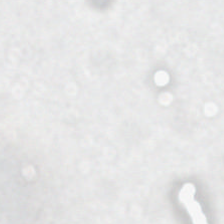Q: Classify this patch.
A: It is background (no tissue).
